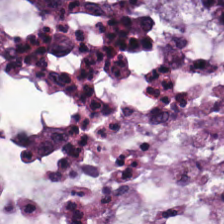0.5 µm per pixel. H&E-stained tissue section. WSI patch.
Extracellular mucin.
